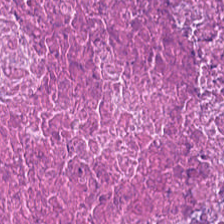Q: What is shown in this field?
A: Debris.
